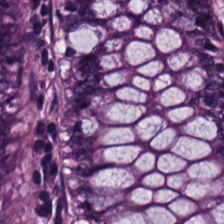224×224 px tile; H&E. This field is normal colon mucosa.
